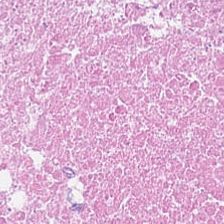224×224 pixel tile · H&E-stained tissue section — Q: Classify this patch.
A: Necrotic debris.
